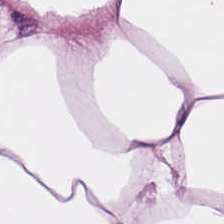Hematoxylin and eosin. This patch shows fat tissue.
